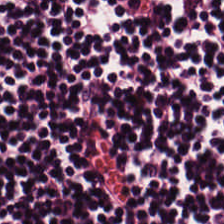This field is lymphocytes.
